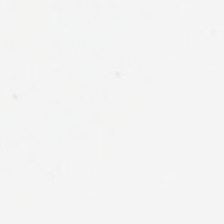Stain: H&E stain.
Tile size: 224×224 pixel tile.
Preparation: formalin-fixed paraffin-embedded section.
Classification: background (no tissue).
